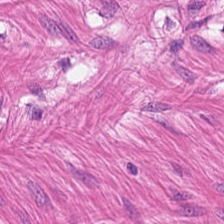H&E stain.
This field is muscularis.
